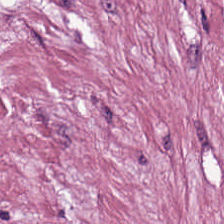Classification = cancer-associated stroma.
